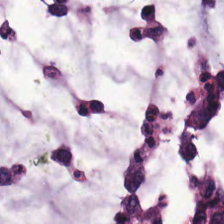Formalin-fixed paraffin-embedded section · hematoxylin-and-eosin stained section. Predominantly mucus.
